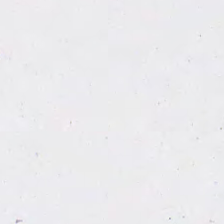H&E stain. Background (no tissue).
